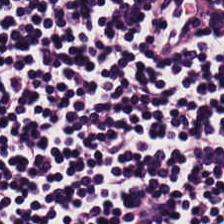Whole-slide-image patch · H&E stain. Q: What does this patch show?
A: Lymphocytic infiltrate.
